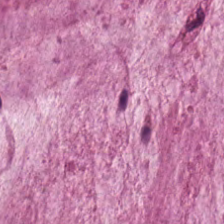Formalin-fixed paraffin-embedded section · H&E-stained tissue section — Mucin.
